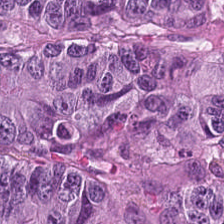H&E-stained tissue section — Tissue type = colorectal adenocarcinoma.
